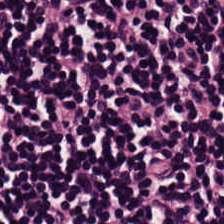224×224 px patch. H&E-stained tissue section. Brightfield microscopy — Tissue type — lymphocytes.
